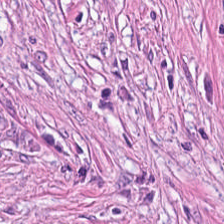Whole-slide-image patch. Hematoxylin-and-eosin stained section. 224×224 px tile. Predominantly tumor-associated stroma.
